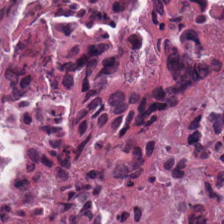This patch shows debris.
